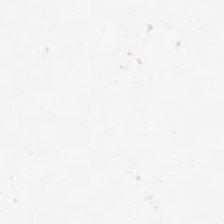Finding — background (no tissue).
